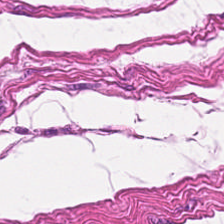Stain: hematoxylin-and-eosin stained section.
Tissue class: muscularis.
